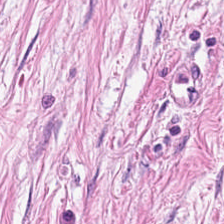Q: What is shown in this field?
A: This is tumor stroma.
